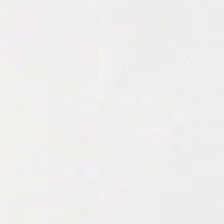Brightfield; hematoxylin and eosin; 224×224 pixel tile.
No tissue present; background only.
